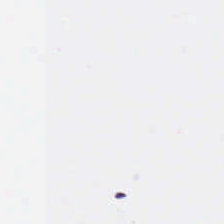224×224 px tile. H&E stain. 0.5 µm per pixel. No tissue present; background only.
